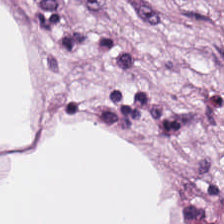20× equivalent magnification · hematoxylin and eosin · FFPE.
Predominantly adipose tissue.
